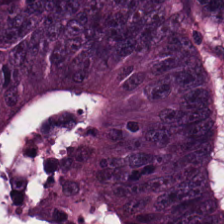Colorectal adenocarcinoma epithelium.
